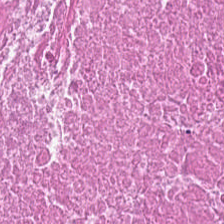Hematoxylin and eosin.
Classification — cellular debris.
